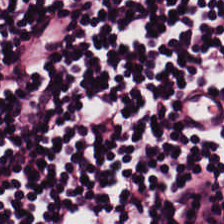H&E.
The tissue class is lymphoid infiltrate.
